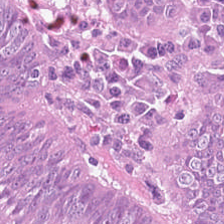Stain: H&E stain.
Preparation: FFPE.
Acquisition: WSI patch.
Tissue class: colorectal adenocarcinoma.
